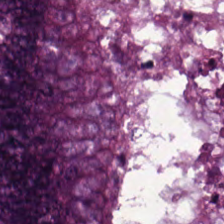Finding → malignant epithelium.
